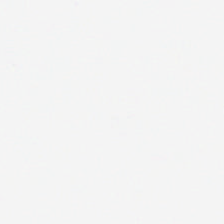Background.
